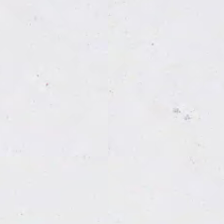H&E-stained tissue section. This patch shows background.
